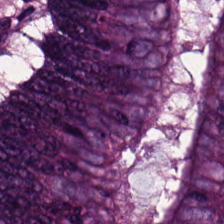Whole-slide-image patch; H&E stain. Q: Identify the tissue.
A: The field shows malignant epithelium.
